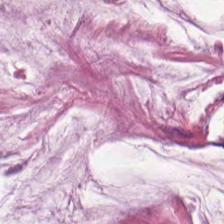Showing mucin.
